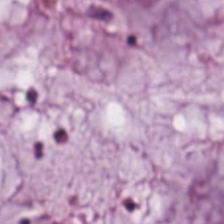H&E stain.
The tissue here is mucin.
